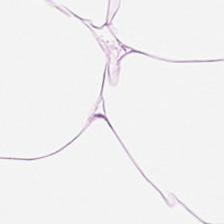H&E — adipose.
